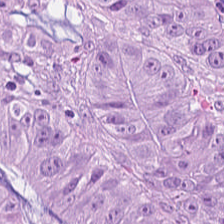20× equivalent magnification · formalin-fixed paraffin-embedded section · hematoxylin and eosin.
Classification: colorectal adenocarcinoma.
